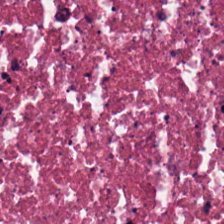Formalin-fixed paraffin-embedded section. H&E-stained tissue section.
Histology → cellular debris.
